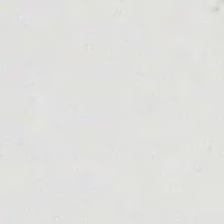224×224 pixel tile; H&E stain. The content is empty background.
